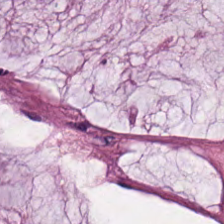Predominantly mucus.
